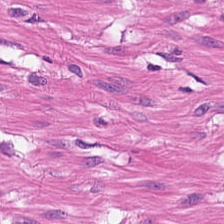H&E stain; FFPE. Predominantly smooth-muscle tissue.
